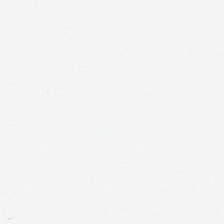0.5 microns per pixel; H&E stain.
Content — background (no tissue).
